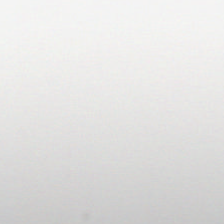Hematoxylin-and-eosin stained section.
No tissue present; background only.
